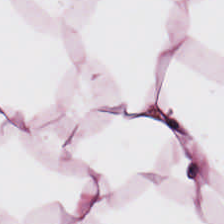Impression → fat tissue.
